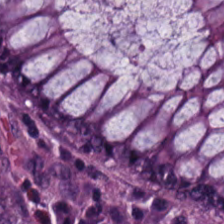H&E stain.
The predominant tissue is normal colonic mucosa.
